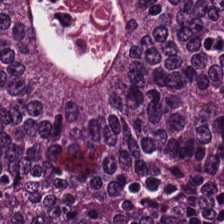This patch shows tumor epithelium.
